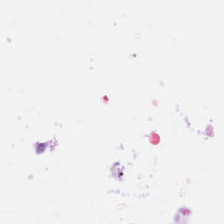Hematoxylin-and-eosin stained section — Classification: no tissue.
